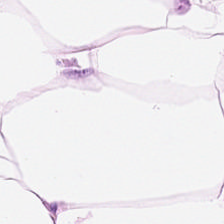Q: What does this patch show?
A: It is fat tissue.
